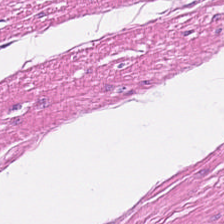Stain: hematoxylin-and-eosin stained section.
Predominant tissue: smooth muscle.
